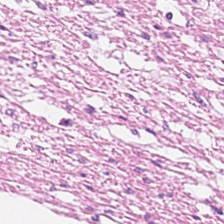Muscularis.
